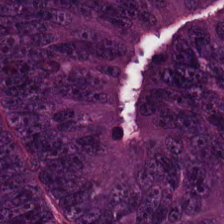Stain: H&E.
Tissue class: colorectal adenocarcinoma epithelium.
